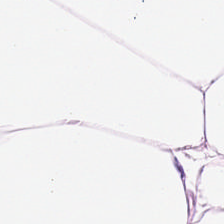H&E-stained tissue section. This field is adipose tissue.
